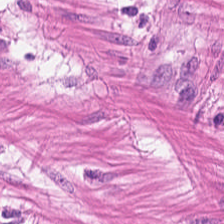Hematoxylin-and-eosin stained section.
Q: Classify this patch.
A: It is smooth muscle.
